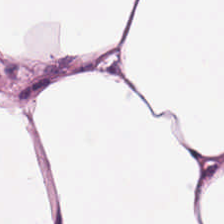H&E-stained tissue section. 20× equivalent magnification — Histology → fat tissue.
